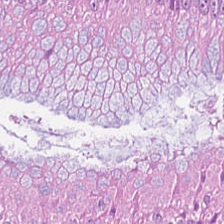The tissue here is malignant epithelium.
